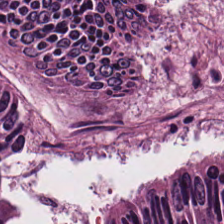H&E — This patch shows colorectal adenocarcinoma epithelium.
